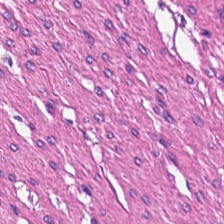H&E · FFPE tissue section — The predominant tissue is smooth muscle.
